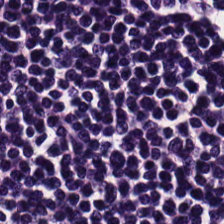H&E stain. Predominantly lymphocytic infiltrate.
